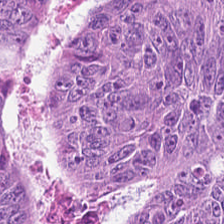Hematoxylin-and-eosin stained section. Whole-slide-image patch. The predominant tissue is adenocarcinoma.
